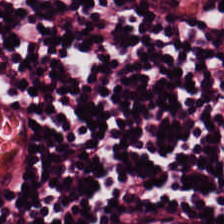H&E.
Finding → lymphocytes.
